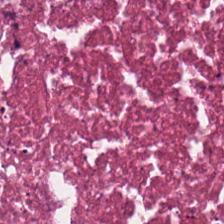H&E-stained tissue section — Q: What does this patch show?
A: Debris.
